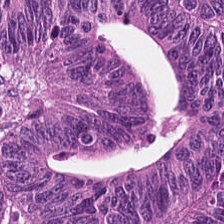0.5 microns per pixel. Formalin-fixed paraffin-embedded section. H&E-stained tissue section. {"tissue_type": "adenocarcinoma"}
